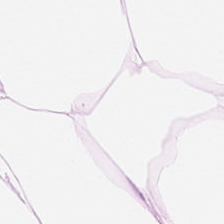Stain: hematoxylin and eosin.
Tissue type: adipose tissue.
